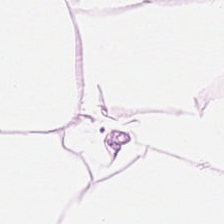Stain: hematoxylin and eosin.
Acquisition: brightfield microscopy.
Tissue type: adipose.
